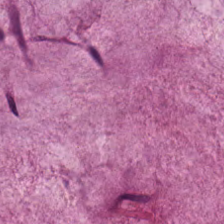H&E stain. FFPE tissue section.
Finding → mucin.
